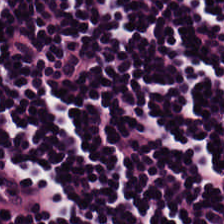Q: What is the predominant tissue type?
A: Lymphocytic infiltrate.
